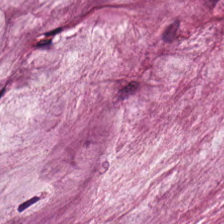H&E-stained tissue section.
Q: What does this patch show?
A: It is mucin.
